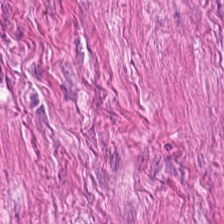224×224 pixel tile; H&E stain; formalin-fixed paraffin-embedded section.
Histology → smooth muscle.
